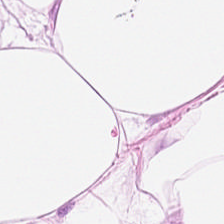Stain: hematoxylin-and-eosin stained section.
Tissue: adipose tissue.
